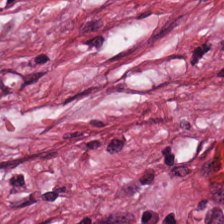H&E-stained tissue section — This field is tumor-associated stroma.
